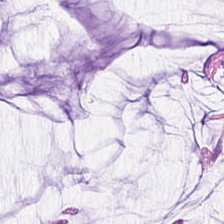H&E-stained tissue section. Formalin-fixed paraffin-embedded section.
Classification = mucin.
